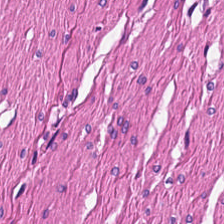Hematoxylin and eosin. Q: What is the predominant tissue type?
A: The field shows smooth-muscle tissue.
